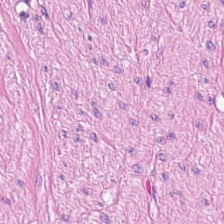Histology → smooth muscle.
